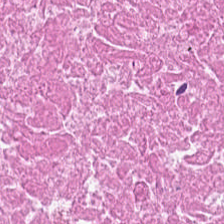FFPE tissue section · hematoxylin and eosin · 224×224 pixel tile. {"tissue_type": "debris"}
